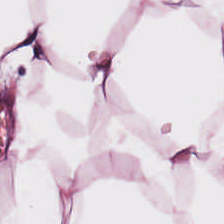H&E-stained tissue section · whole-slide-image patch. Tissue class — adipose tissue.
